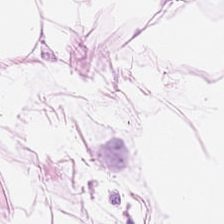Whole-slide-image patch · 0.5 µm per pixel · hematoxylin and eosin. Impression → fat tissue.
